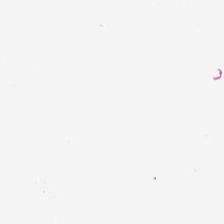Stain: H&E-stained tissue section.
Field content: no tissue.
